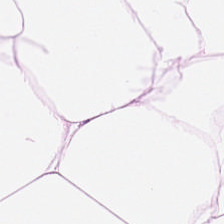Hematoxylin and eosin · brightfield microscopy — This field is adipose.
